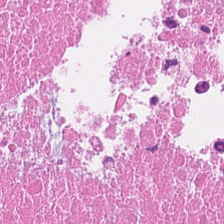H&E. Formalin-fixed paraffin-embedded section.
The tissue is necrotic debris.
